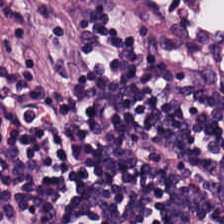The predominant tissue is lymphocyte aggregate.
